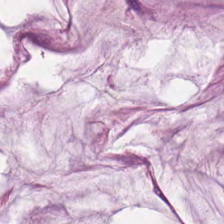Q: Identify the tissue.
A: This is extracellular mucin.
